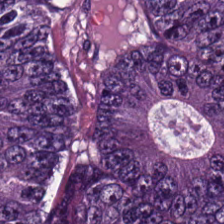Whole-slide-image patch. FFPE. H&E. Q: What is shown here?
A: Adenocarcinoma.
